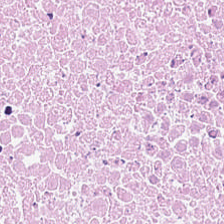Stain: hematoxylin-and-eosin stained section.
Tile size: 224×224 px tile.
Tissue: cellular debris.
